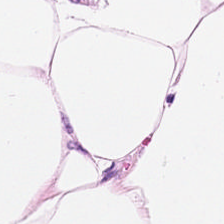H&E; 224×224 pixel tile.
Classification = fat tissue.
